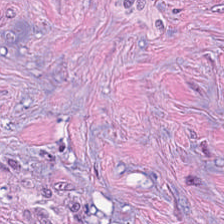H&E — Impression → tumor stroma.
